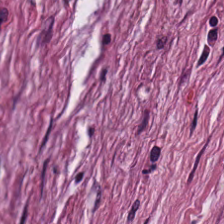Hematoxylin-and-eosin stained section. Tissue: desmoplastic stroma.
